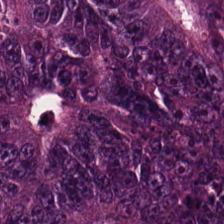Stain: hematoxylin-and-eosin stained section.
Classification: colorectal adenocarcinoma.
